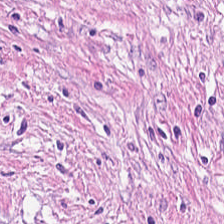H&E stain. The predominant tissue is cancer-associated stroma.
